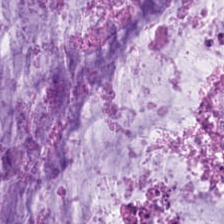Stain: H&E.
Tissue: mucin.
